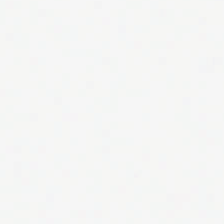No tissue present; background only.
